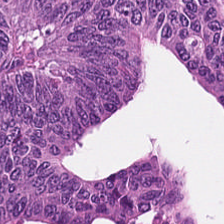Q: What tissue is shown?
A: It is tumor epithelium.
